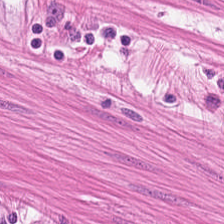H&E. Predominantly muscularis.
